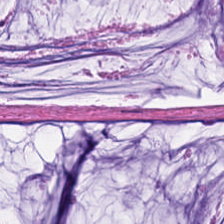H&E-stained tissue section.
Q: What is shown here?
A: This is mucus.
